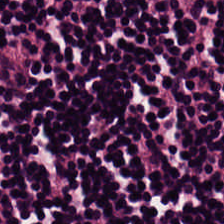Q: What does this patch show?
A: This is lymphocytes.
